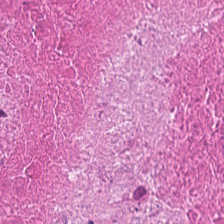Hematoxylin and eosin; 0.5 µm/px. The predominant tissue is necrotic debris.
